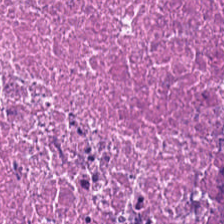Hematoxylin and eosin.
Finding → debris.
